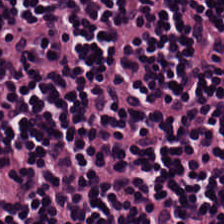Hematoxylin and eosin — Tissue class: lymphocytic infiltrate.
